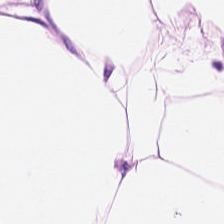H&E. This field is adipose.
